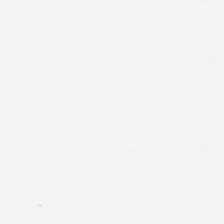0.5 microns per pixel · formalin-fixed paraffin-embedded section · H&E stain — No tissue present; background only.
